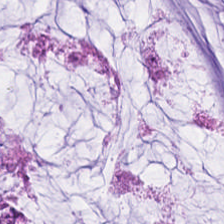FFPE tissue section. H&E — Q: What is shown here?
A: This is mucus.
